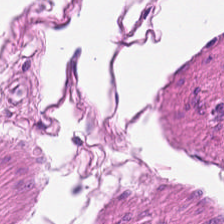Histology → smooth-muscle tissue.
